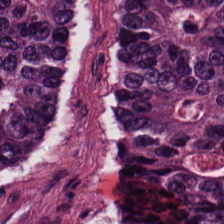0.5 microns per pixel; H&E-stained tissue section — Q: Identify the tissue.
A: This is tumor epithelium.
